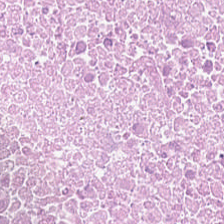H&E-stained tissue section; formalin-fixed paraffin-embedded section. The predominant tissue is debris.
